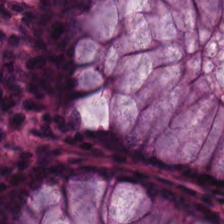Hematoxylin-and-eosin stained section; 224×224 pixel tile — Impression — normal colon mucosa.
